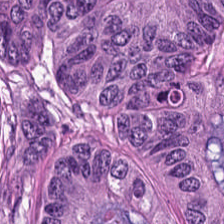Stain: H&E.
Acquisition: brightfield microscopy.
Tissue type: tumor epithelium.
